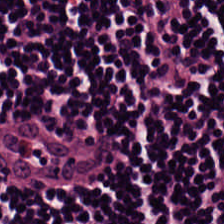H&E-stained tissue section; 0.5 µm per pixel.
Q: What is the predominant tissue type?
A: This is lymphoid infiltrate.
